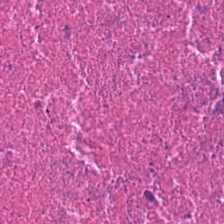Stain: H&E stain.
Tissue: debris.
